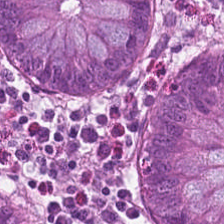H&E — This field is normal colon mucosa.
